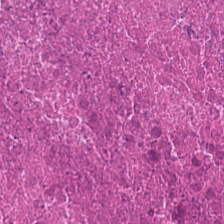Hematoxylin and eosin. Tissue — necrotic debris.
